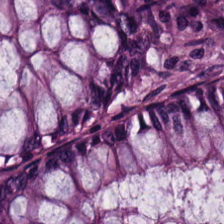H&E stain. Impression → normal colonic mucosa.
